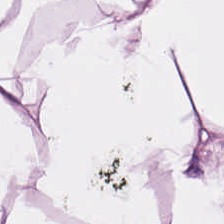0.5 µm per pixel; H&E-stained tissue section.
{"tissue_type": "adipocytes"}
